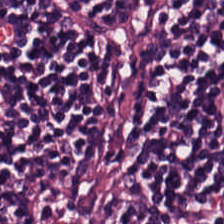H&E-stained tissue section. Q: What tissue type is shown here?
A: This is lymphocyte aggregate.
